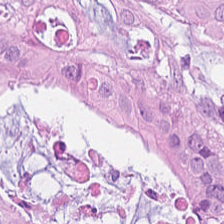224×224 pixel tile; brightfield microscopy; hematoxylin-and-eosin stained section — Tissue type — malignant epithelium.
